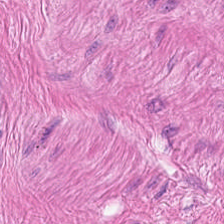Stain: H&E.
Acquisition: brightfield microscopy.
Preparation: formalin-fixed paraffin-embedded section.
Tissue class: smooth-muscle tissue.
